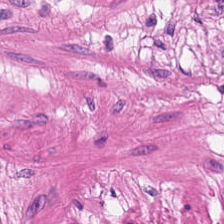Showing smooth-muscle tissue.
